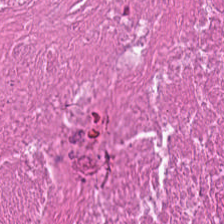Hematoxylin-and-eosin stained section.
Histology — necrotic debris.
